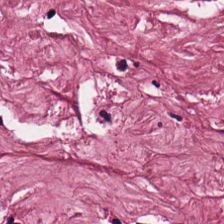224×224 pixel tile. H&E-stained tissue section. Brightfield microscopy. Showing cancer-associated stroma.
